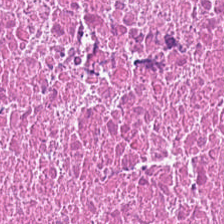{"tissue_type": "debris"}
